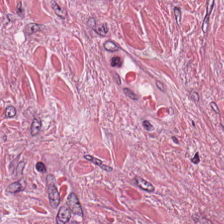H&E stain — Q: Classify this patch.
A: The field shows desmoplastic stroma.
